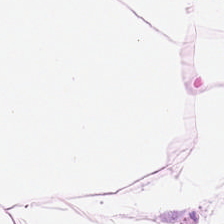Hematoxylin-and-eosin stained section — The tissue is fat tissue.
